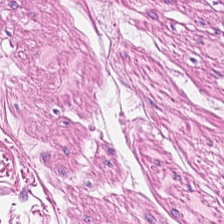Tissue class — smooth-muscle tissue.
